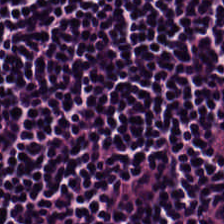H&E-stained section; the field shows lymphocytes.
